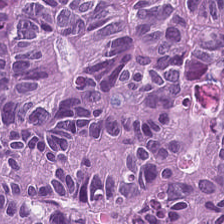Q: What is the predominant tissue type?
A: This is colorectal adenocarcinoma.
